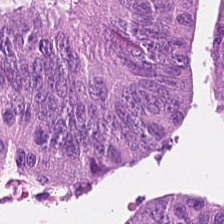H&E stain · whole-slide-image patch — Predominant tissue — tumor epithelium.
